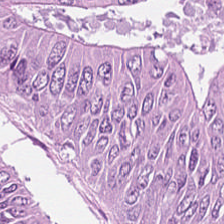This field is colorectal adenocarcinoma epithelium.
